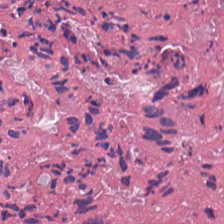H&E-stained section; the field shows debris.
